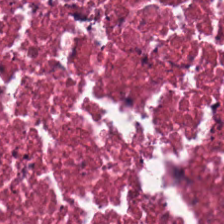Hematoxylin and eosin.
The predominant tissue is cellular debris.
